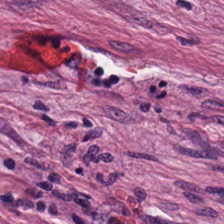H&E.
Predominantly tumor stroma.
